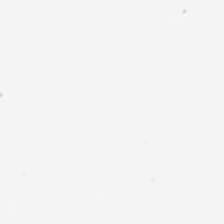Brightfield; hematoxylin-and-eosin stained section; FFPE tissue section — Impression — background (no tissue).
